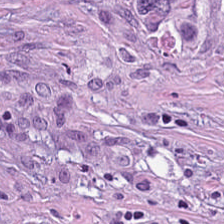H&E stain. FFPE — Impression — cancer-associated stroma.
